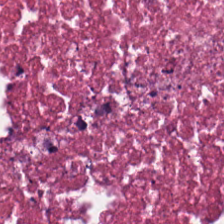Classification — debris.
